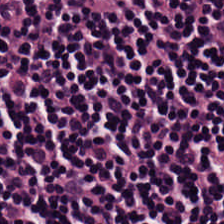Brightfield; H&E; 20× equivalent magnification.
This patch shows lymphoid infiltrate.
